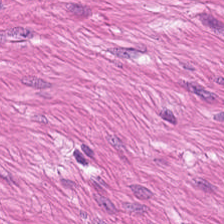Hematoxylin and eosin — Showing muscularis.
